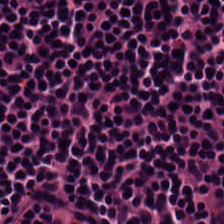Hematoxylin and eosin; formalin-fixed paraffin-embedded section. The classification is lymphocytes.
